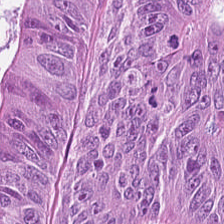Tumor epithelium.
